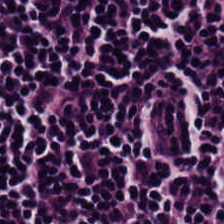H&E stain.
Q: What is shown here?
A: This is lymphoid infiltrate.
